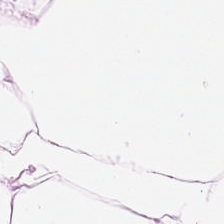Predominantly fat tissue.
